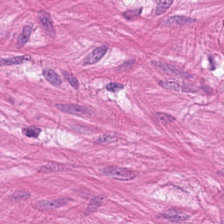Stain: H&E.
Classification: muscularis.
